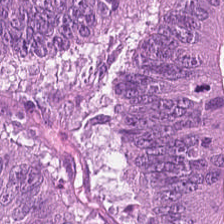H&E stain; FFPE — Q: What type of tissue is this?
A: Colorectal adenocarcinoma epithelium.
